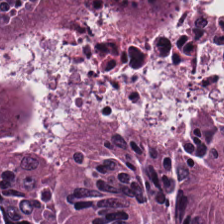H&E stain — The tissue here is colorectal adenocarcinoma epithelium.
